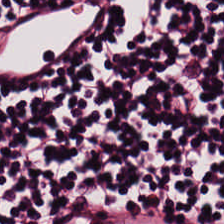Stain: hematoxylin and eosin.
Tissue: lymphocytes.
